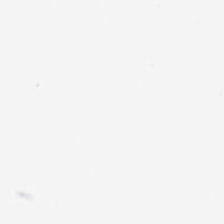Hematoxylin and eosin — Background — no tissue in this field.
